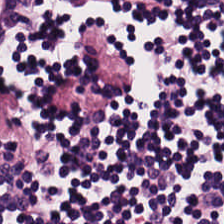Stain: hematoxylin-and-eosin stained section.
Resolution: 20× equivalent magnification.
Tissue type: lymphocytic infiltrate.
